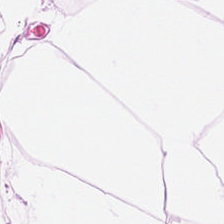H&E · brightfield microscopy. This field is adipose tissue.
